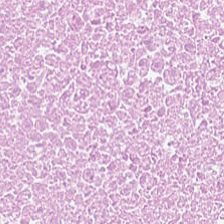Q: What is shown here?
A: Cellular debris.
